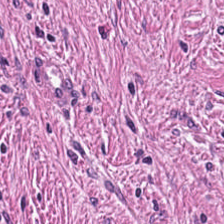H&E-stained tissue section — {"tissue_type": "desmoplastic stroma"}
